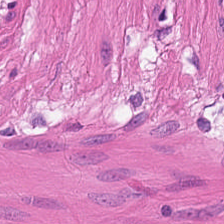Brightfield; 224×224 pixel tile; H&E.
The tissue is smooth-muscle tissue.
